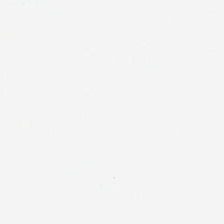Hematoxylin-and-eosin stained section; 224×224 px tile; formalin-fixed paraffin-embedded section. This patch shows background.
